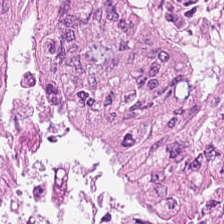0.5 microns per pixel · hematoxylin and eosin · 224×224 pixel tile.
The classification is colorectal adenocarcinoma.
